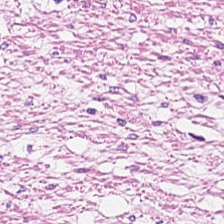Stain: H&E-stained tissue section.
Tissue class: smooth-muscle tissue.
